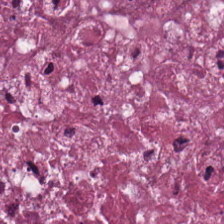H&E stain.
The predominant tissue is debris.
